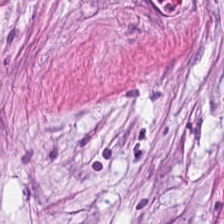Stain: H&E-stained tissue section.
Tissue type: cancer-associated stroma.
